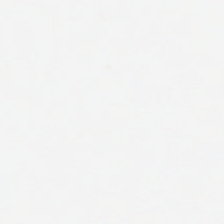0.5 microns per pixel; formalin-fixed paraffin-embedded section; H&E-stained tissue section.
Empty field — background (no tissue).
